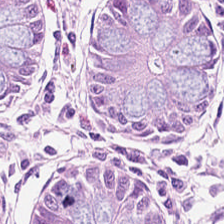H&E-stained tissue section — This patch shows benign colonic mucosa.
